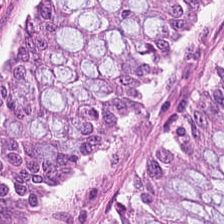224×224 px patch. Hematoxylin-and-eosin stained section. Normal colon mucosa.
